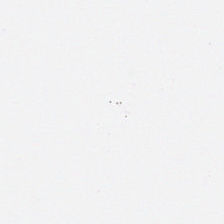224×224 pixel tile · FFPE · hematoxylin and eosin.
Empty background.
